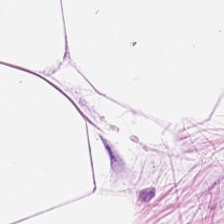Hematoxylin-and-eosin stained section.
Q: What is the predominant tissue type?
A: Adipocytes.
